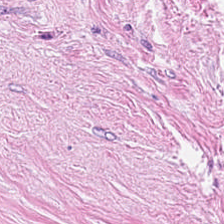H&E-stained tissue section — {"tissue_type": "tumor-associated stroma"}
